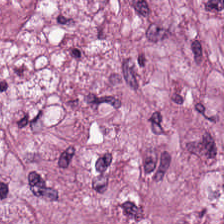Hematoxylin and eosin.
This field is desmoplastic stroma.
